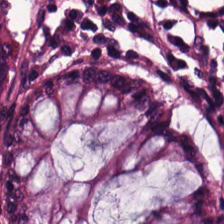Hematoxylin and eosin; formalin-fixed paraffin-embedded section; whole-slide-image patch. The tissue is normal colon mucosa.
